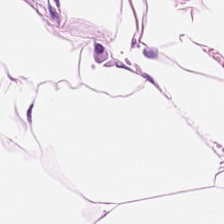Tissue class = fat tissue.
